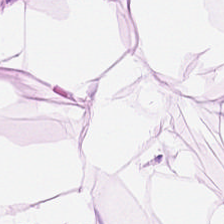FFPE · hematoxylin and eosin · 224×224 pixel tile. {"tissue_type": "adipose"}
